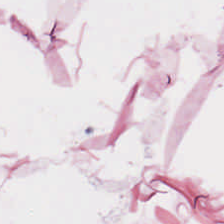20× equivalent magnification; whole-slide-image patch; H&E-stained tissue section. Tissue = fat tissue.
